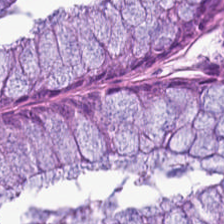Hematoxylin-and-eosin stained section; brightfield — Tissue class — benign colonic mucosa.
